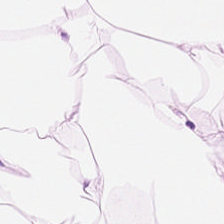Stain: H&E.
Acquisition: brightfield microscopy.
Tissue type: fat tissue.
